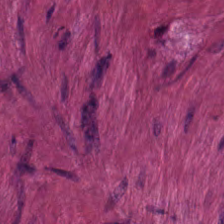WSI patch; hematoxylin-and-eosin stained section; FFPE.
Q: What tissue is shown?
A: This is smooth-muscle tissue.
